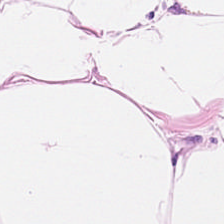Q: Identify the tissue.
A: This is fat tissue.
